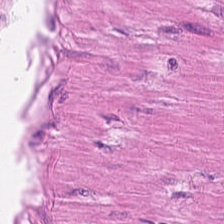224×224 pixel tile; FFPE tissue section; hematoxylin-and-eosin stained section.
Smooth-muscle tissue.
